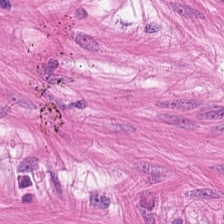H&E stain.
Predominant tissue: muscularis.
